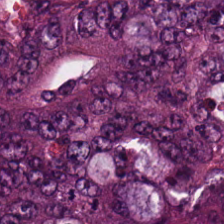H&E — Predominantly colorectal adenocarcinoma.
